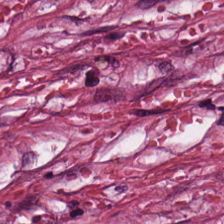Tissue class — desmoplastic stroma.
